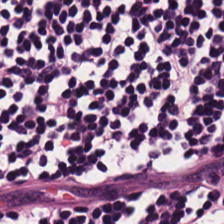H&E-stained tissue section showing lymphocyte aggregate.
